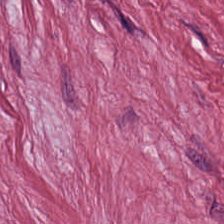Hematoxylin and eosin; formalin-fixed paraffin-embedded section. Q: What tissue is shown?
A: It is cancer-associated stroma.
